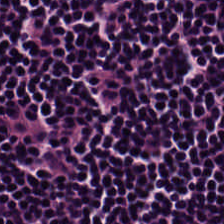H&E — lymphoid infiltrate.
